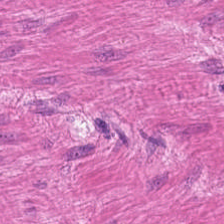H&E — muscularis.
